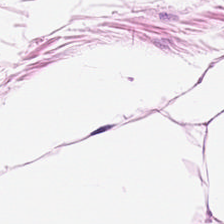20× equivalent magnification; H&E.
{"tissue_type": "adipose"}
